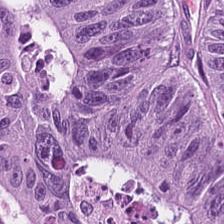Hematoxylin-and-eosin stained section.
Showing malignant epithelium.
